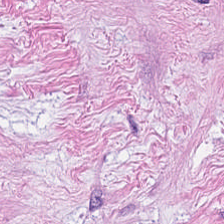20× equivalent magnification. Hematoxylin-and-eosin stained section.
Q: Classify this patch.
A: It is cancer-associated stroma.
